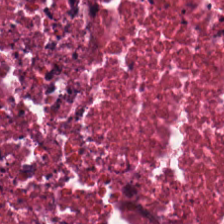224×224 px tile · hematoxylin and eosin. Q: Classify this patch.
A: Cellular debris.
